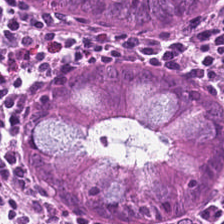224×224 px tile; H&E; FFPE tissue section — This field is non-neoplastic colon mucosa.
